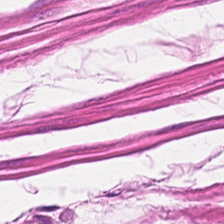Whole-slide-image patch · H&E-stained tissue section — Tissue — smooth muscle.
